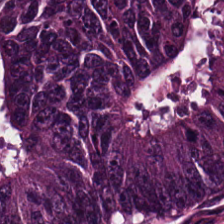H&E-stained tissue section. FFPE tissue section — The predominant tissue is malignant epithelium.
